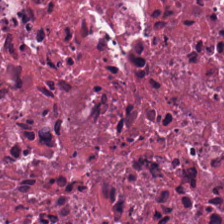0.5 microns per pixel. H&E — Classification: necrotic debris.
